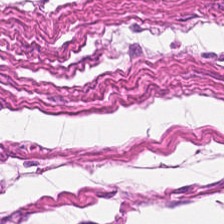Impression → smooth-muscle tissue.
